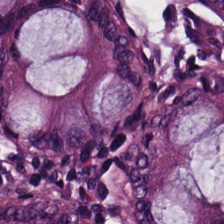Hematoxylin and eosin.
Classification = normal colonic mucosa.
